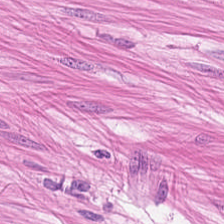H&E — The predominant tissue is muscularis.
